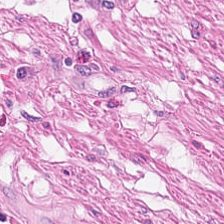H&E stain. {"tissue_type": "smooth-muscle tissue"}
